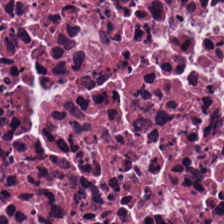Histology → necrotic debris.
